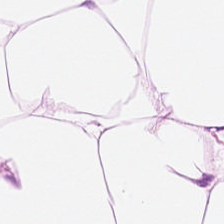H&E-stained tissue section. Impression → adipose.
